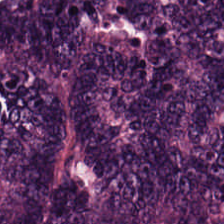224×224 px tile; H&E.
Tissue class: malignant epithelium.
